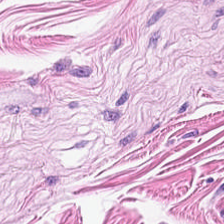Hematoxylin-and-eosin stained section — Q: What tissue is shown?
A: This is smooth-muscle tissue.
